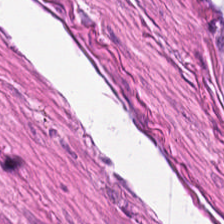The tissue is smooth muscle.
